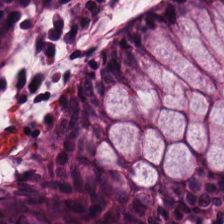Stain: H&E.
Tissue: normal colonic mucosa.
